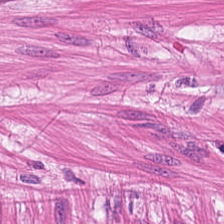H&E-stained tissue section · FFPE tissue section · 0.5 µm per pixel.
Classification = smooth muscle.
